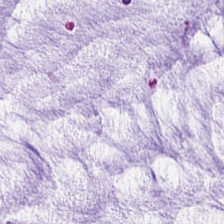Hematoxylin-and-eosin stained section. Formalin-fixed paraffin-embedded section. Brightfield microscopy.
Extracellular mucin.
